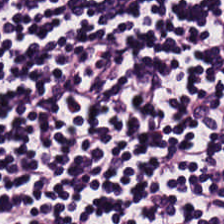Brightfield microscopy; H&E; 0.5 microns per pixel — Histology — lymphocytes.
